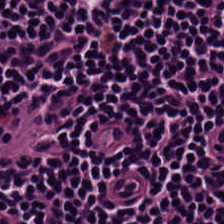H&E — lymphoid infiltrate.
